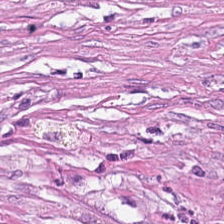Hematoxylin and eosin; FFPE — The predominant tissue is desmoplastic stroma.
